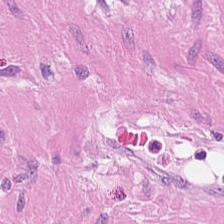The tissue type is smooth-muscle tissue.
